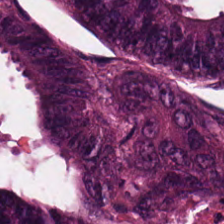Hematoxylin-and-eosin stained section. Q: What type of tissue is this?
A: This is colorectal adenocarcinoma.
